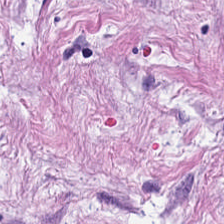H&E; formalin-fixed paraffin-embedded section; 224×224 px tile — Q: Classify this patch.
A: It is cancer-associated stroma.
